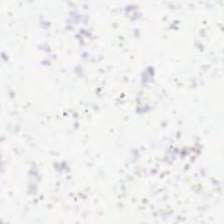Q: What is shown here?
A: The field shows no tissue.
